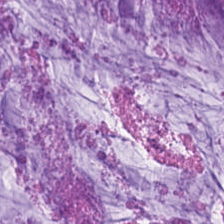Hematoxylin and eosin — Classification = mucin.
